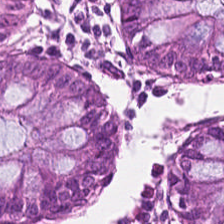Brightfield microscopy · H&E stain. Showing non-neoplastic colon mucosa.
